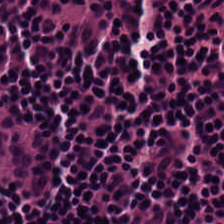This field is lymphocyte aggregate.
